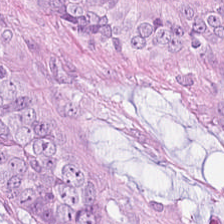Hematoxylin and eosin · 20× equivalent magnification. Tumor epithelium.
